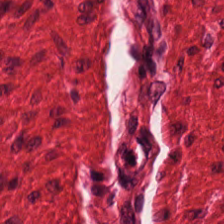Stain: hematoxylin and eosin.
Predominant tissue: smooth muscle.
